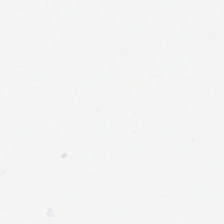This patch shows no tissue.
